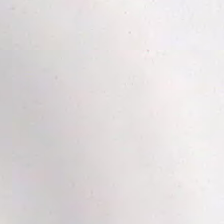H&E-stained tissue section · 224×224 pixel tile — Q: What does this patch show?
A: It is background (no tissue).
